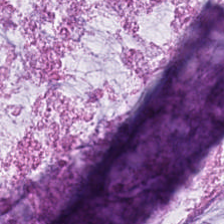Brightfield · hematoxylin-and-eosin stained section. The predominant tissue is extracellular mucin.
